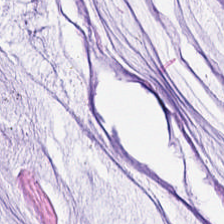Stain: H&E stain.
Resolution: 0.5 µm/px.
Predominant tissue: mucin.
